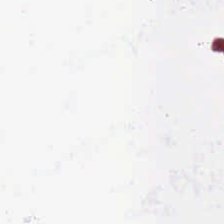Hematoxylin-and-eosin stained section.
Classification = background.
